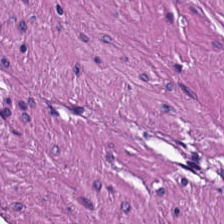Classification: smooth-muscle tissue.
